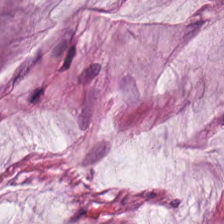0.5 microns per pixel · 224×224 px patch · hematoxylin-and-eosin stained section — {"tissue_type": "extracellular mucin"}
